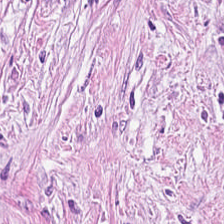224×224 pixel tile. Hematoxylin-and-eosin stained section — Tissue class: tumor stroma.
